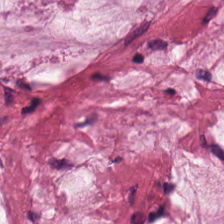0.5 µm per pixel; hematoxylin-and-eosin stained section. Impression → extracellular mucin.
